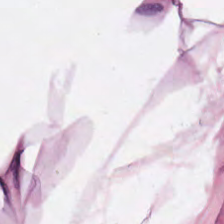Hematoxylin-and-eosin stained section.
Fat tissue.
